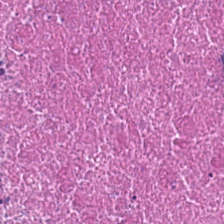{"tissue_type": "cellular debris"}
